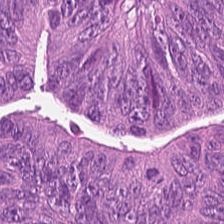H&E-stained tissue section; 20× equivalent magnification; FFPE tissue section — Histology — adenocarcinoma.
